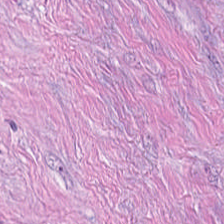H&E. 224×224 px patch — This patch shows tumor stroma.
